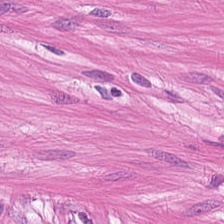Stain: H&E-stained tissue section.
Tissue: smooth muscle.
